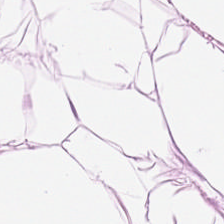H&E — Predominant tissue = fat tissue.
